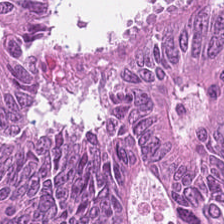20× equivalent magnification. Hematoxylin and eosin.
The tissue is colorectal adenocarcinoma.
